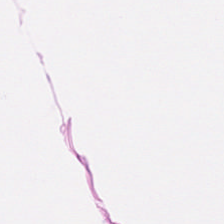Hematoxylin and eosin.
Predominantly smooth-muscle tissue.
